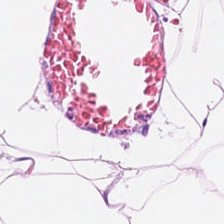H&E-stained tissue section. Q: What type of tissue is this?
A: This is adipose tissue.
